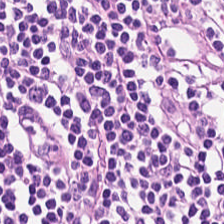H&E stain — Impression → lymphocytes.
